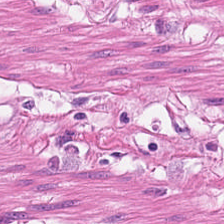224×224 px tile. Hematoxylin-and-eosin stained section. Impression — muscularis.
